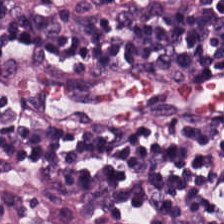Tissue: lymphocyte aggregate.
